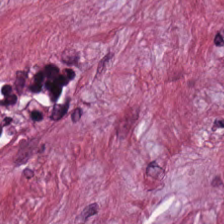0.5 microns per pixel; H&E stain; 224×224 px tile — The predominant tissue is desmoplastic stroma.
